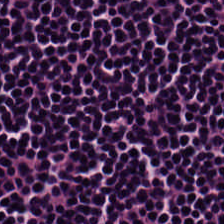Stain: H&E-stained tissue section.
Predominant tissue: lymphocytes.
